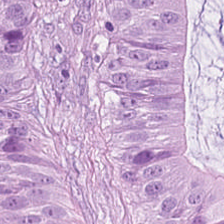Hematoxylin and eosin — This patch shows adenocarcinoma.
